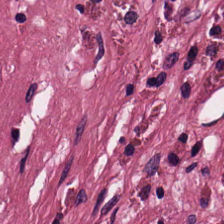H&E. Formalin-fixed paraffin-embedded section.
Predominant tissue: desmoplastic stroma.
